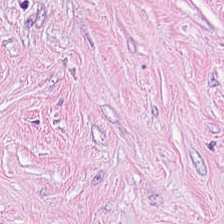Brightfield. Formalin-fixed paraffin-embedded section. H&E-stained tissue section. Predominantly tumor-associated stroma.
